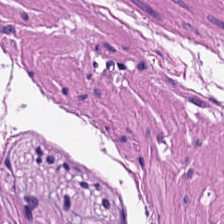H&E — Showing muscularis.
